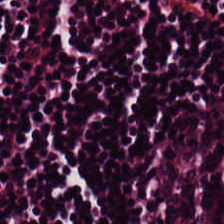Stain: H&E.
Preparation: FFPE tissue section.
Predominant tissue: lymphocytic infiltrate.
